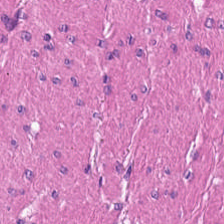Stain: H&E stain.
Tile size: 224×224 pixel tile.
Classification: smooth-muscle tissue.
